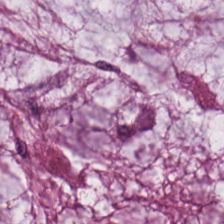H&E · 224×224 pixel tile.
{"tissue_type": "extracellular mucin"}
